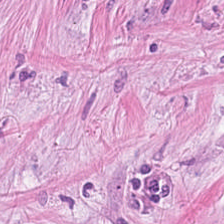Whole-slide-image patch. Hematoxylin-and-eosin stained section. Tissue: desmoplastic stroma.
